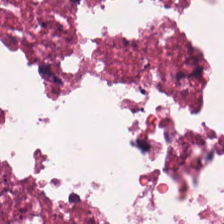Stain: hematoxylin-and-eosin stained section.
Tissue: necrotic debris.
